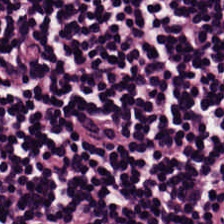H&E-stained tissue section.
Impression — lymphocyte aggregate.
